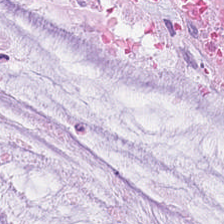The predominant tissue is extracellular mucin.
